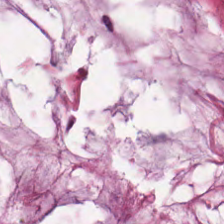Tissue class — mucin.
